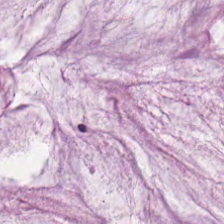Hematoxylin-and-eosin stained section. Q: What is the predominant tissue type?
A: This is mucus.
